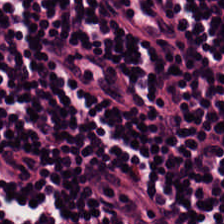Hematoxylin and eosin. Tissue = lymphocyte aggregate.
